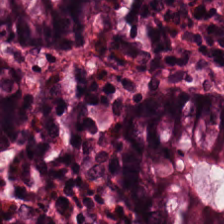H&E stain. FFPE. The tissue class is normal colonic mucosa.
